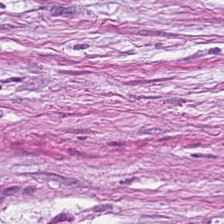FFPE tissue section. 224×224 px tile. H&E-stained tissue section. Impression → desmoplastic stroma.
